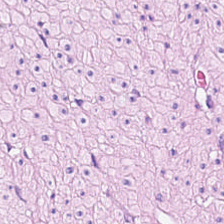Stain: hematoxylin-and-eosin stained section.
Tile size: 224×224 pixel tile.
Preparation: FFPE tissue section.
Classification: smooth muscle.
